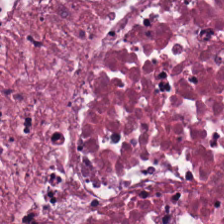Whole-slide-image patch · H&E stain.
Showing debris.
